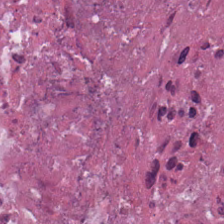H&E stain.
Q: What does this patch show?
A: Cellular debris.
